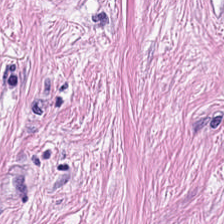0.5 microns per pixel · 224×224 px patch · hematoxylin-and-eosin stained section.
Showing desmoplastic stroma.
